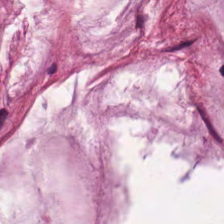The predominant tissue is mucin.
